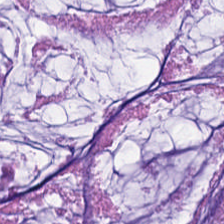The tissue here is mucin.
